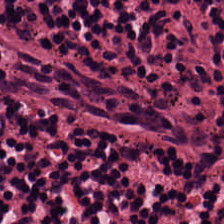Hematoxylin and eosin — Q: What type of tissue is this?
A: This is lymphocytes.
